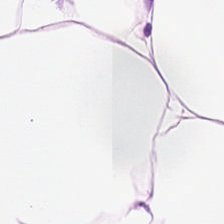Hematoxylin and eosin — Showing adipose tissue.
